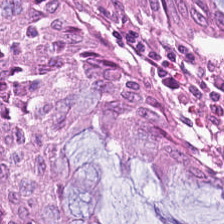Stain: hematoxylin and eosin.
Tissue class: benign colonic mucosa.
